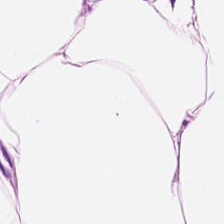H&E-stained tissue section · FFPE — Predominantly adipocytes.
